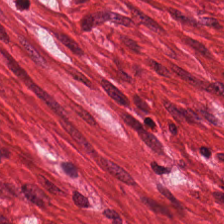Hematoxylin and eosin. Tissue — smooth muscle.
